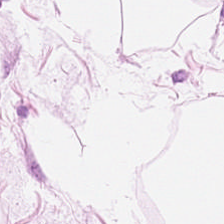H&E-stained tissue section · 224×224 pixel tile — Fat tissue.
